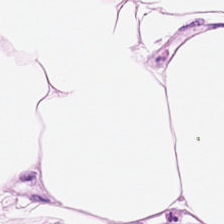Tissue: adipose.
